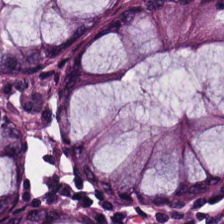0.5 µm/px. Brightfield. Hematoxylin-and-eosin stained section — Impression → non-neoplastic colon mucosa.
